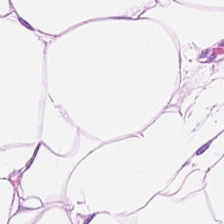Stain: hematoxylin and eosin.
Classification: adipocytes.
